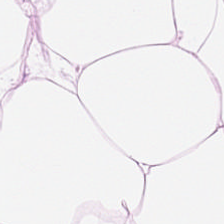Hematoxylin and eosin · 20× equivalent magnification.
Q: What is the predominant tissue type?
A: This is adipose tissue.
